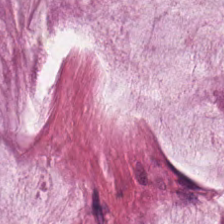Hematoxylin-and-eosin stained section · 224×224 px patch · FFPE tissue section — Q: What is the predominant tissue type?
A: It is extracellular mucin.
